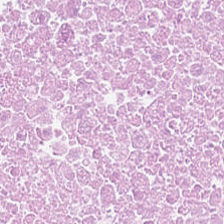H&E-stained tissue section. Q: Identify the tissue.
A: The field shows debris.
